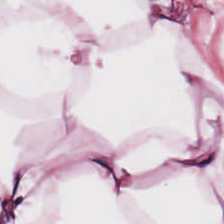H&E-stained tissue section. Tissue type = adipocytes.
